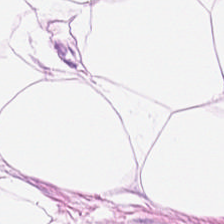Whole-slide-image patch · H&E stain — Impression — adipocytes.
